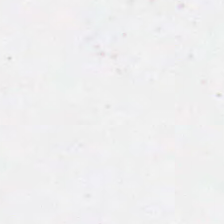H&E stain — Q: What is shown in this field?
A: It is no tissue.
